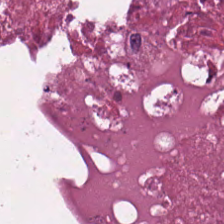H&E — Q: What is shown here?
A: Cellular debris.
